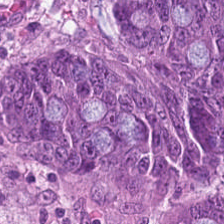Hematoxylin and eosin. Histology — colorectal adenocarcinoma epithelium.
